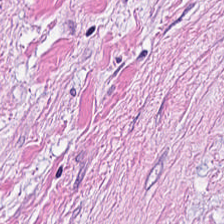Hematoxylin and eosin — Q: What type of tissue is this?
A: Tumor stroma.
